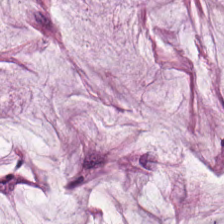The predominant tissue is extracellular mucin.
